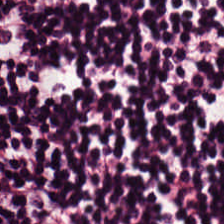0.5 microns per pixel · hematoxylin-and-eosin stained section — Showing lymphocytic infiltrate.
